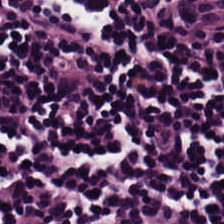H&E. Showing lymphoid infiltrate.
